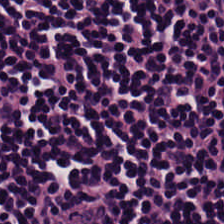224×224 px patch. H&E-stained tissue section. 0.5 µm per pixel. The tissue here is lymphocyte aggregate.
